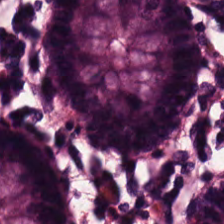Whole-slide-image patch · FFPE tissue section · hematoxylin and eosin — The tissue is benign colonic mucosa.
